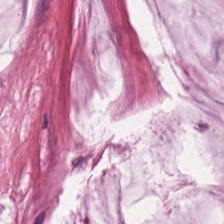H&E-stained tissue section · 0.5 microns per pixel · 224×224 px patch. This field is extracellular mucin.
